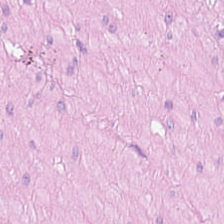Hematoxylin and eosin. This field is smooth muscle.
